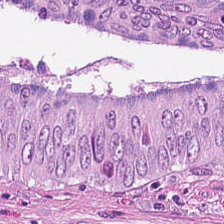Classification — colorectal adenocarcinoma epithelium.
